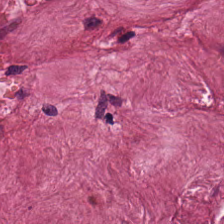Hematoxylin and eosin.
Q: What is the predominant tissue type?
A: Tumor-associated stroma.
